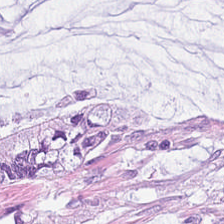H&E-stained tissue section — Q: What tissue is shown?
A: Extracellular mucin.
